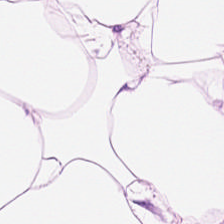H&E stain. Q: Classify this patch.
A: Adipocytes.
